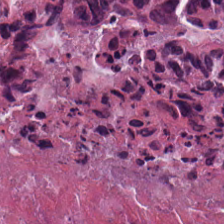FFPE tissue section. Hematoxylin and eosin. Q: What does this patch show?
A: This is debris.
